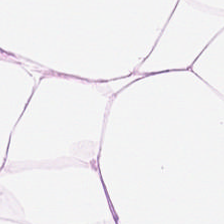Stain: hematoxylin and eosin.
Tissue type: adipose.
